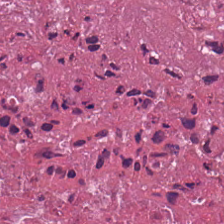H&E-stained tissue section · FFPE tissue section · 0.5 µm per pixel — This patch shows debris.
